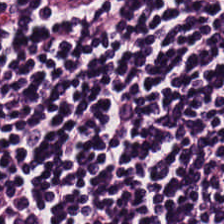Hematoxylin-and-eosin stained section. Showing lymphocyte aggregate.
